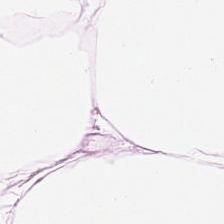Finding → fat tissue.
